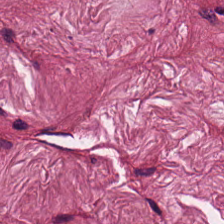Brightfield microscopy; H&E-stained tissue section.
The tissue class is desmoplastic stroma.
